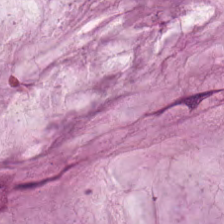Stain: H&E stain.
Predominant tissue: mucus.
